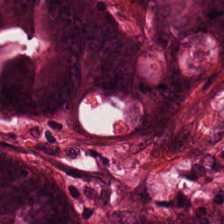Hematoxylin and eosin.
Showing colorectal adenocarcinoma epithelium.
